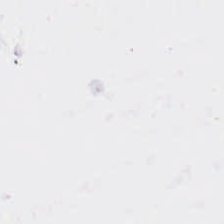H&E-stained tissue section.
This field is background (no tissue).
